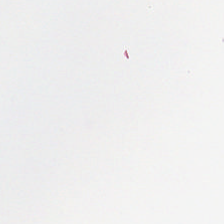FFPE; H&E stain.
{"content": "no tissue"}
